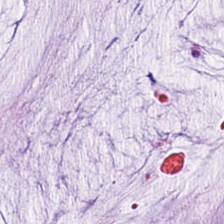Hematoxylin-and-eosin stained section; 224×224 pixel tile. Predominant tissue: extracellular mucin.
